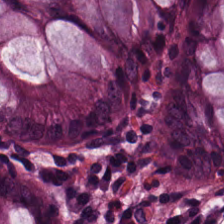Brightfield microscopy · H&E.
This patch shows non-neoplastic colon mucosa.
